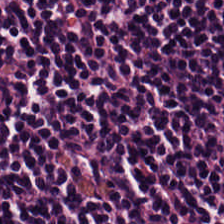Formalin-fixed paraffin-embedded section. Hematoxylin and eosin. The tissue is lymphocyte aggregate.
